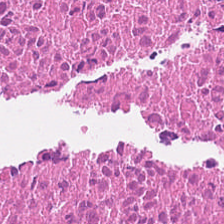Hematoxylin-and-eosin section: cellular debris.
